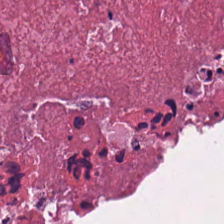Stain: hematoxylin-and-eosin stained section.
Acquisition: WSI patch.
Preparation: FFPE.
Classification: necrotic debris.
